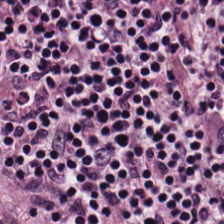224×224 px tile. 0.5 microns per pixel. Hematoxylin and eosin. Impression — lymphocytic infiltrate.
